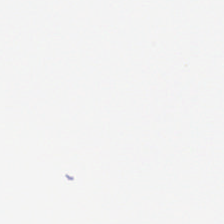Hematoxylin-and-eosin stained section — Q: What does this patch show?
A: The field shows background.
